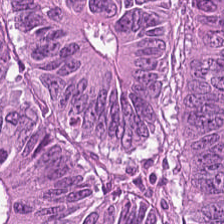Stain: hematoxylin-and-eosin stained section.
Preparation: FFPE tissue section.
Tissue: colorectal adenocarcinoma epithelium.
